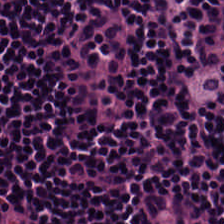Stain: hematoxylin-and-eosin stained section.
Tile size: 224×224 px patch.
Acquisition: whole-slide-image patch.
Tissue class: lymphocytes.
